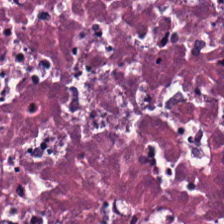0.5 µm/px. WSI patch. Hematoxylin and eosin — Predominantly cellular debris.
